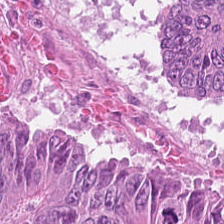Hematoxylin and eosin. Histology — tumor epithelium.
